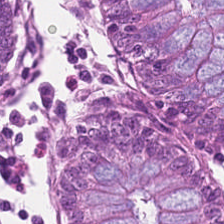The tissue here is benign colonic mucosa.
